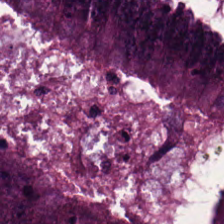{"tissue_type": "colorectal adenocarcinoma"}
